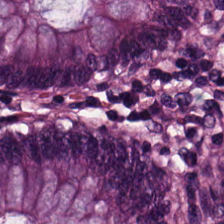Hematoxylin-and-eosin stained section — The tissue type is normal colonic mucosa.
